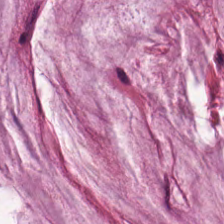{"tissue_type": "extracellular mucin"}
